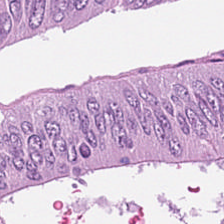H&E-stained tissue section. Tissue type: colorectal adenocarcinoma.
